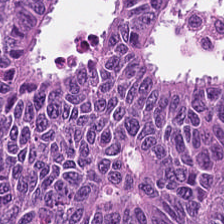H&E stain · brightfield — This field is colorectal adenocarcinoma.
